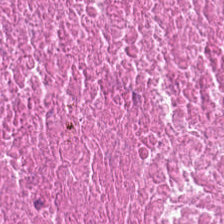H&E. FFPE tissue section — Q: What tissue type is shown here?
A: Necrotic debris.
